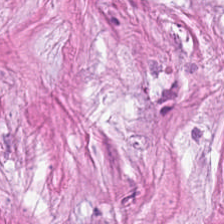Finding → cancer-associated stroma.
